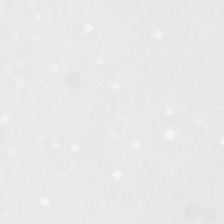Stain: hematoxylin and eosin.
Classification: no tissue.
